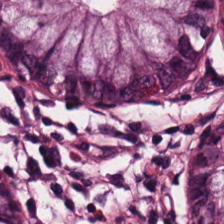0.5 µm per pixel. WSI patch. H&E stain.
Q: What is shown in this field?
A: It is normal colonic mucosa.
